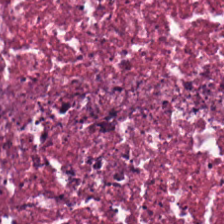H&E-stained tissue section. 20× equivalent magnification — The tissue here is necrotic debris.
